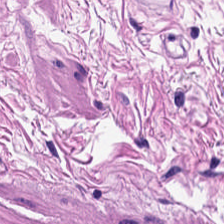Stain: hematoxylin-and-eosin stained section.
Tissue: muscularis.
